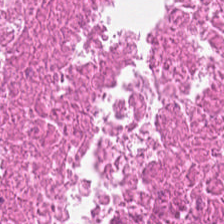H&E-stained tissue section — Impression → cellular debris.
